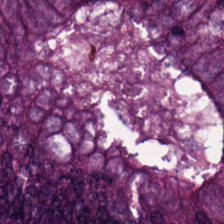Hematoxylin and eosin — Showing colorectal adenocarcinoma epithelium.
